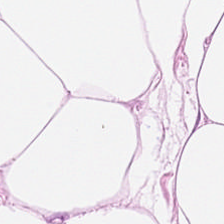H&E stain. The tissue class is fat tissue.
